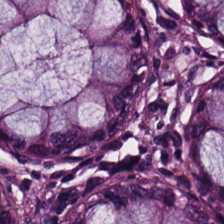Stain: hematoxylin and eosin.
Tissue class: normal colonic mucosa.
